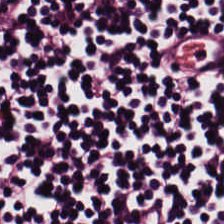Hematoxylin and eosin. Q: What tissue type is shown here?
A: It is lymphocyte aggregate.
